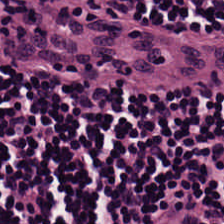H&E.
Q: What type of tissue is this?
A: Lymphocytes.
